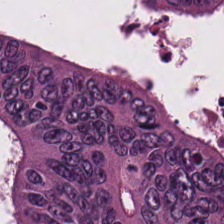Hematoxylin-and-eosin stained section. 224×224 px tile.
The classification is colorectal adenocarcinoma.
